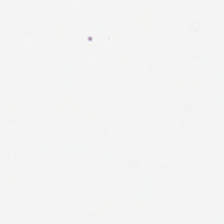H&E stain. No tissue present; background only.
